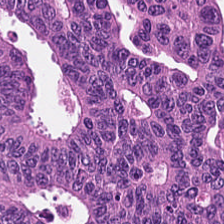H&E. 224×224 pixel tile. Whole-slide-image patch — Showing colorectal adenocarcinoma epithelium.
